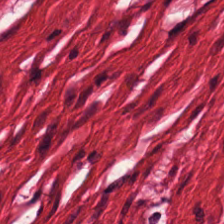H&E. This patch shows smooth-muscle tissue.
